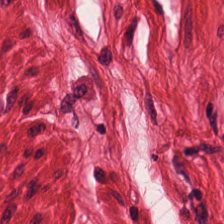H&E.
Predominantly muscularis.
